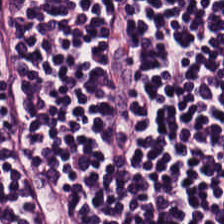H&E.
Showing lymphoid infiltrate.
